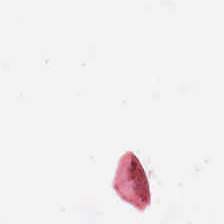Hematoxylin and eosin. 224×224 px patch. FFPE. Content: background (no tissue).
